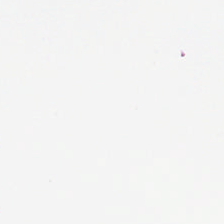Hematoxylin-and-eosin stained section. Classification — background.
